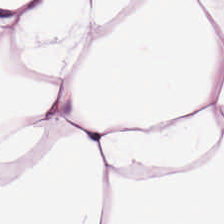This field is fat tissue.
